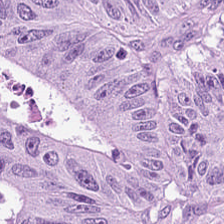H&E-stained tissue section · 0.5 µm/px — Tissue type = malignant epithelium.
